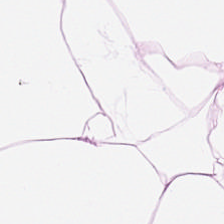Hematoxylin and eosin — Adipocytes.
